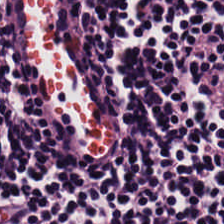FFPE tissue section; 224×224 px patch; hematoxylin and eosin.
Lymphocyte aggregate.
